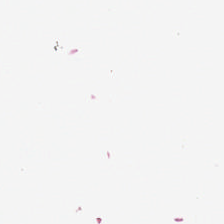Content = background.
